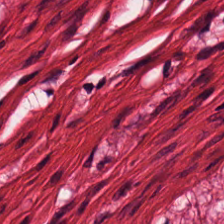Brightfield microscopy; hematoxylin and eosin. Q: What type of tissue is this?
A: This is smooth muscle.
